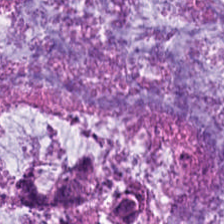Hematoxylin and eosin — Impression — extracellular mucin.
